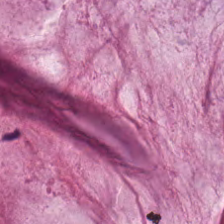Finding → extracellular mucin.
